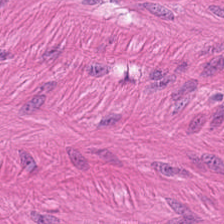0.5 µm per pixel · brightfield · H&E stain — The tissue is smooth-muscle tissue.
